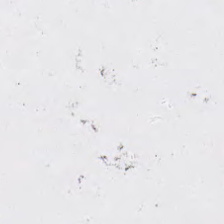Hematoxylin-and-eosin stained section. Impression → no tissue.
